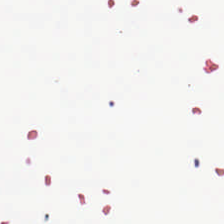Stain: H&E stain.
Preparation: formalin-fixed paraffin-embedded section.
Field content: background (no tissue).
